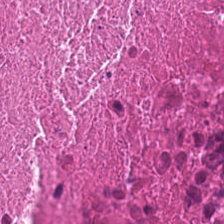Histology → debris.
